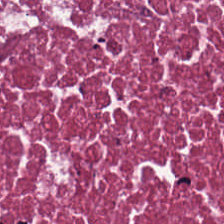0.5 microns per pixel; hematoxylin-and-eosin stained section.
The tissue class is necrotic debris.
